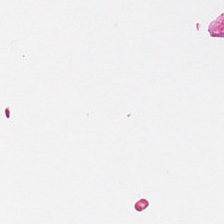Field content = background.
